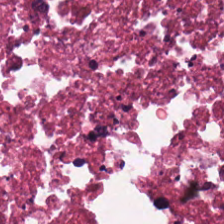Hematoxylin-and-eosin stained section. {"tissue_type": "debris"}
